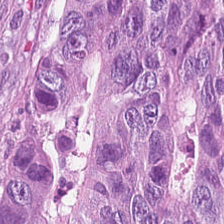H&E stain. This field is colorectal adenocarcinoma.
